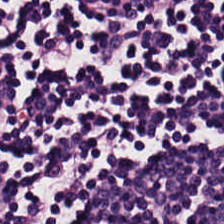FFPE; hematoxylin and eosin. The tissue is lymphoid infiltrate.
